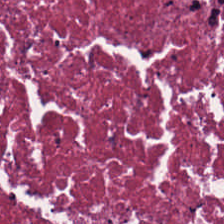FFPE · H&E stain. The tissue here is necrotic debris.
